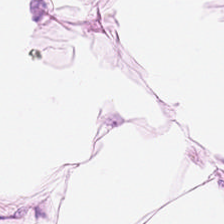Tissue class — fat tissue.
